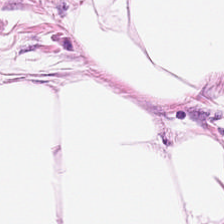H&E-stained tissue section.
This patch shows adipose.
